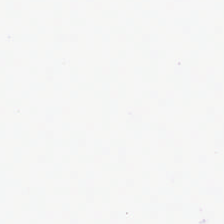Classification = no tissue.
